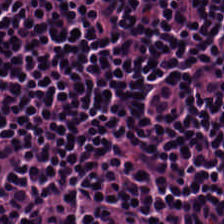H&E stain · 224×224 pixel tile — Q: What tissue type is shown here?
A: Lymphocyte aggregate.
